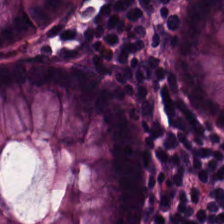Brightfield microscopy; 0.5 µm/px; hematoxylin and eosin — Tissue — normal colonic mucosa.
